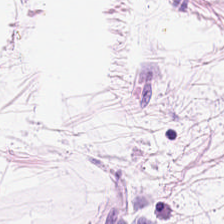224×224 px tile. H&E stain. Q: What is shown here?
A: It is adipocytes.
